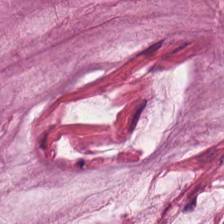H&E stain — Classification — extracellular mucin.
